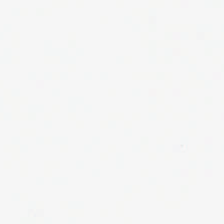Stain: H&E-stained tissue section.
Tile size: 224×224 pixel tile.
Field content: empty background.
